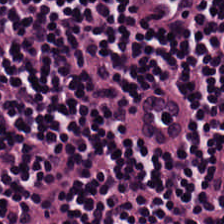Hematoxylin and eosin — This field is lymphocyte aggregate.
